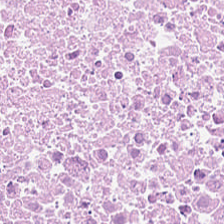224×224 pixel tile. H&E. Classification = necrotic debris.
